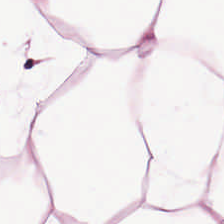Stain: H&E.
Preparation: FFPE tissue section.
Resolution: 0.5 µm/px.
Predominant tissue: adipose.
